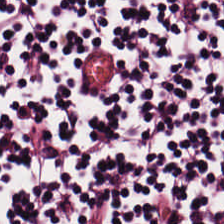Tissue class: lymphoid infiltrate.
